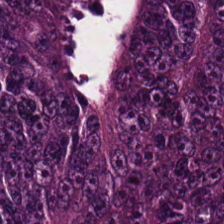H&E-stained tissue section; formalin-fixed paraffin-embedded section.
Tissue class — adenocarcinoma.
